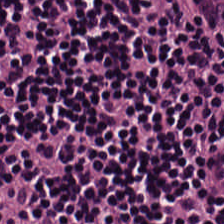Formalin-fixed paraffin-embedded section. Hematoxylin-and-eosin stained section — This field is lymphoid infiltrate.
